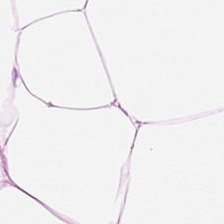Hematoxylin and eosin — This patch shows adipose.
